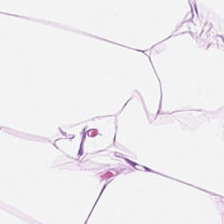H&E stain; brightfield microscopy — Finding — adipocytes.
